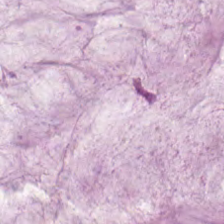H&E-stained tissue section. 20× equivalent magnification. The tissue class is mucus.
